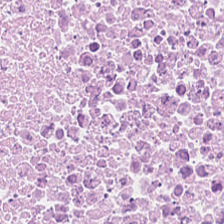H&E — This field is necrotic debris.
